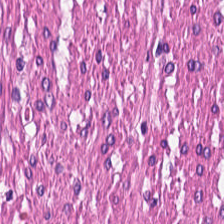Hematoxylin and eosin.
Predominant tissue = smooth-muscle tissue.
